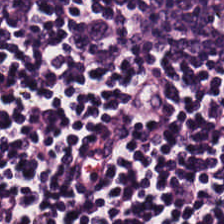H&E — Tissue type: lymphoid infiltrate.
